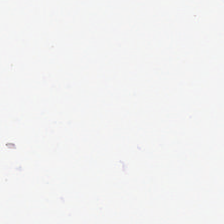H&E stain. This patch shows background.
